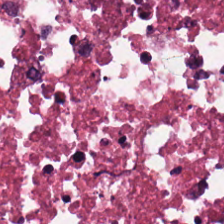H&E stain.
Q: What tissue type is shown here?
A: Necrotic debris.
